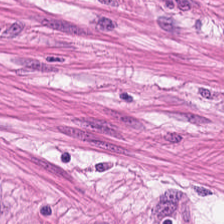{"tissue_type": "smooth-muscle tissue"}
